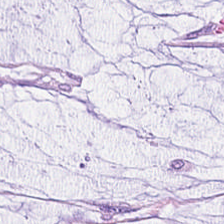Stain: H&E-stained tissue section.
Classification: mucin.
